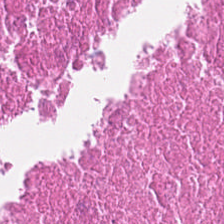Stain: hematoxylin and eosin.
Tissue class: debris.
